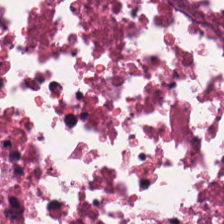H&E-stained section; the field shows debris.
